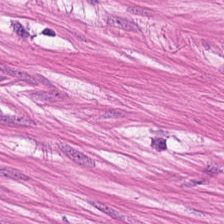FFPE tissue section · hematoxylin and eosin · brightfield microscopy. Predominantly smooth-muscle tissue.
